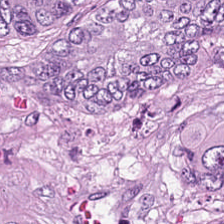H&E stain; 20× equivalent magnification.
{"tissue_type": "adenocarcinoma"}
